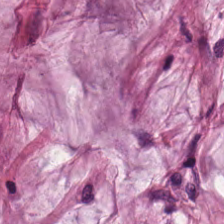H&E stain — Histology → extracellular mucin.
